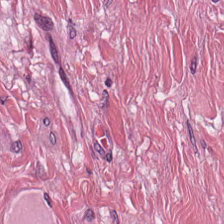H&E stain.
Impression — cancer-associated stroma.
